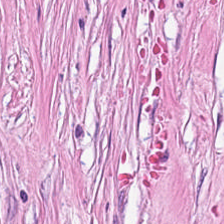Hematoxylin and eosin; 224×224 px tile — Impression → tumor stroma.
